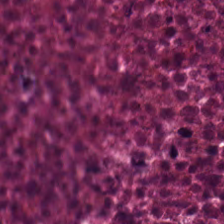Stain: H&E.
Resolution: 20× equivalent magnification.
Acquisition: brightfield.
Tissue class: debris.
